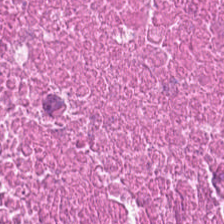Hematoxylin and eosin. The predominant tissue is necrotic debris.
